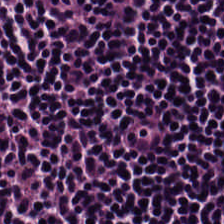H&E · whole-slide-image patch · 0.5 µm/px.
Predominant tissue: lymphocyte aggregate.
